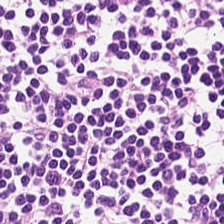H&E; 0.5 µm per pixel; whole-slide-image patch.
This patch shows lymphocytic infiltrate.
